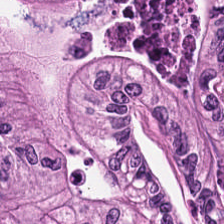H&E; formalin-fixed paraffin-embedded section.
Q: What tissue is shown?
A: The field shows adenocarcinoma.
